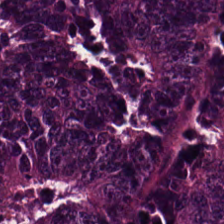This patch shows adenocarcinoma.
